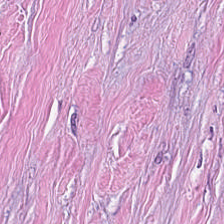Q: What type of tissue is this?
A: Desmoplastic stroma.
